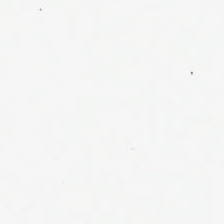Brightfield microscopy. Hematoxylin and eosin — Empty field — background (no tissue).
